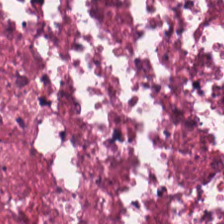Stain: H&E stain.
Acquisition: brightfield.
Resolution: 0.5 µm per pixel.
Predominant tissue: necrotic debris.
